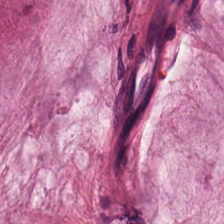Showing mucin.
